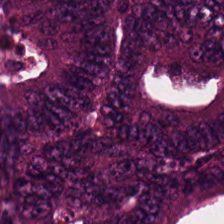Hematoxylin-and-eosin stained section. 224×224 px tile. Histology → colorectal adenocarcinoma.
